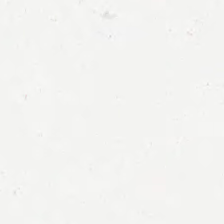Stain: H&E.
Acquisition: WSI patch.
Preparation: FFPE.
Field content: background.
